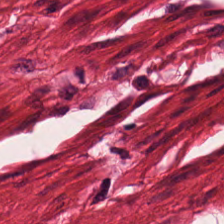Hematoxylin and eosin; 20× equivalent magnification — Histology — muscularis.
